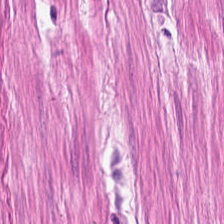{"tissue_type": "muscularis"}
